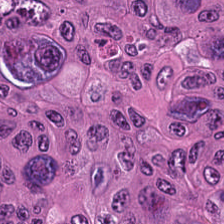H&E stain. 224×224 px patch. 0.5 microns per pixel. Finding → malignant epithelium.
